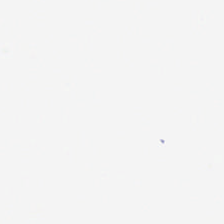FFPE tissue section · whole-slide-image patch · H&E.
No tissue present; background only.
